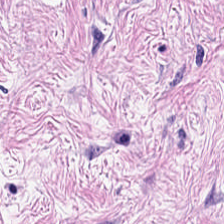Formalin-fixed paraffin-embedded section; H&E-stained tissue section — Q: What tissue is shown?
A: It is desmoplastic stroma.
